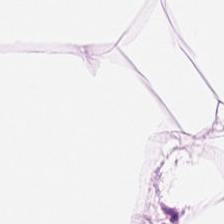H&E.
Predominant tissue — adipocytes.
